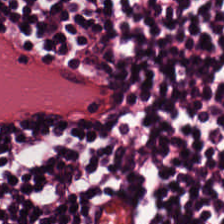H&E stain · 0.5 µm per pixel. Lymphocytes.
